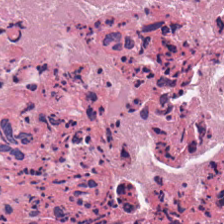Finding → debris.
